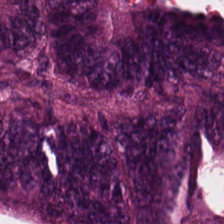The tissue here is colorectal adenocarcinoma epithelium.
